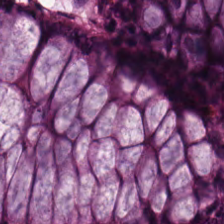{"tissue_type": "normal colonic mucosa"}
